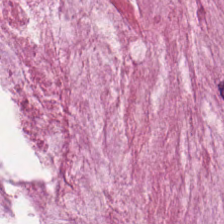H&E.
Classification — mucus.
